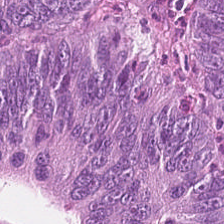{"tissue_type": "malignant epithelium"}
